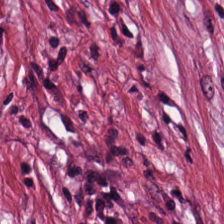H&E stain; 224×224 px tile — Classification — desmoplastic stroma.
